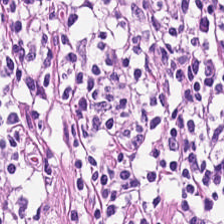H&E. Formalin-fixed paraffin-embedded section. Brightfield microscopy. Predominant tissue — lymphocyte aggregate.
